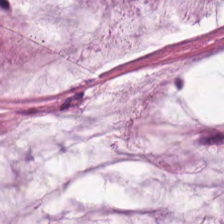H&E stain.
Histology → extracellular mucin.
